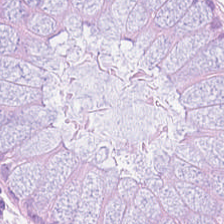Brightfield microscopy; H&E-stained tissue section — Tissue type: normal colonic mucosa.
